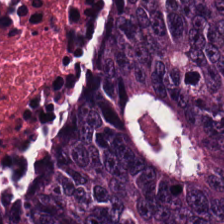Hematoxylin and eosin. Tissue class — tumor epithelium.
